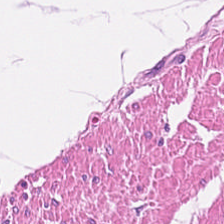H&E stain. Formalin-fixed paraffin-embedded section. 20× equivalent magnification.
{"tissue_type": "smooth-muscle tissue"}
